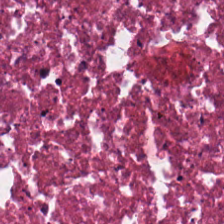FFPE · H&E. Predominant tissue — debris.
